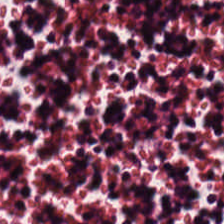Formalin-fixed paraffin-embedded section · hematoxylin-and-eosin stained section · 0.5 microns per pixel.
Q: Identify the tissue.
A: It is lymphocytes.
